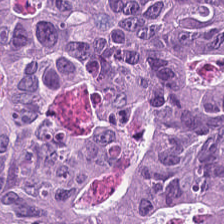Predominantly malignant epithelium.
